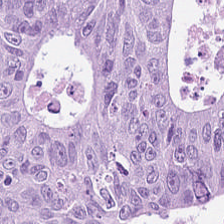0.5 µm per pixel · hematoxylin-and-eosin stained section. The tissue here is colorectal adenocarcinoma epithelium.
